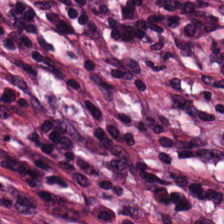H&E — Tissue type — tumor-associated stroma.
